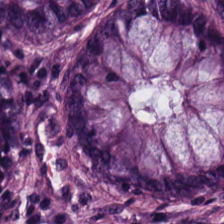H&E · 0.5 microns per pixel.
Tissue type: benign colonic mucosa.
